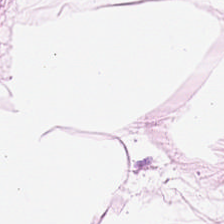Hematoxylin-and-eosin stained section. Classification: adipose tissue.
